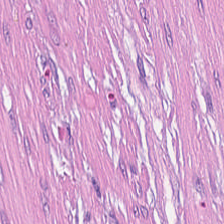Q: What is shown here?
A: Tumor stroma.
